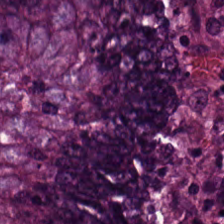20× equivalent magnification; H&E. Predominant tissue — adenocarcinoma.
